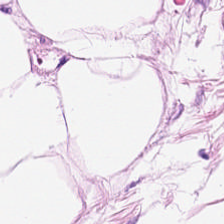Hematoxylin-and-eosin stained section. The tissue class is adipose tissue.
